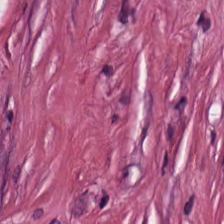Stain: H&E-stained tissue section.
Classification: tumor stroma.
